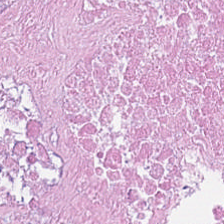This field is necrotic debris.
